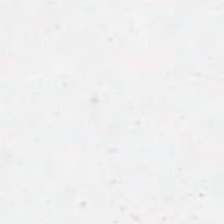Q: Classify this patch.
A: It is background.
